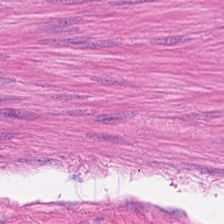H&E-stained tissue section. Showing muscularis.
